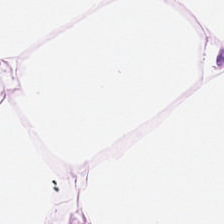Q: What is the predominant tissue type?
A: This is adipocytes.
